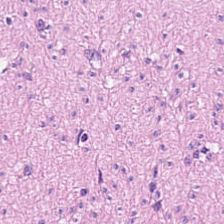Hematoxylin and eosin — Q: What does this patch show?
A: The field shows muscularis.
